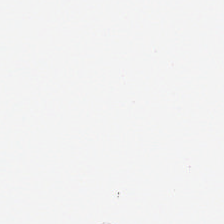This patch shows background (no tissue).
